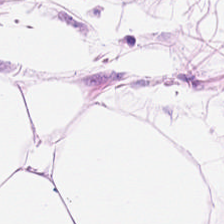Hematoxylin-and-eosin stained section · FFPE tissue section.
This patch shows adipose.
